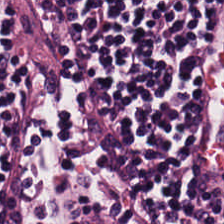224×224 px tile. Hematoxylin and eosin. Brightfield.
Tissue class: lymphoid infiltrate.
